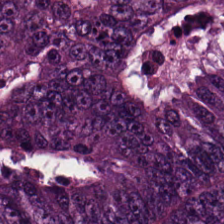Stain: H&E.
Tissue type: adenocarcinoma.
